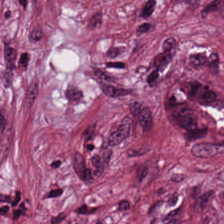H&E-stained tissue section. Predominantly tumor stroma.
